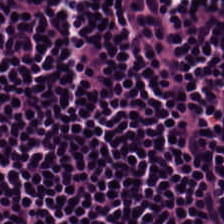H&E stain · 0.5 µm per pixel. Tissue: lymphocytes.
